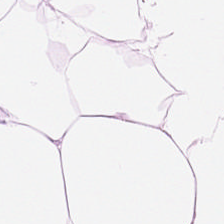H&E patch showing adipose tissue.
